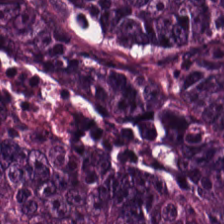Whole-slide-image patch · 0.5 microns per pixel · hematoxylin-and-eosin stained section. The tissue is adenocarcinoma.
